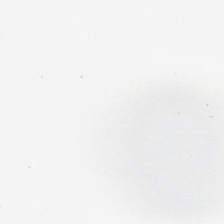224×224 px tile. Hematoxylin and eosin.
Background (no tissue).
